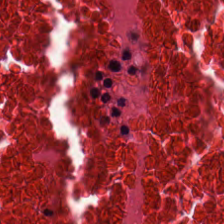Hematoxylin-and-eosin section: cellular debris.
